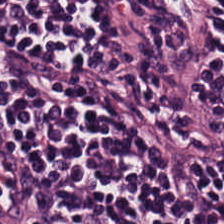Hematoxylin and eosin — Q: Classify this patch.
A: This is lymphoid infiltrate.
